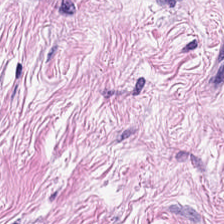Stain: H&E.
Tissue class: tumor stroma.
